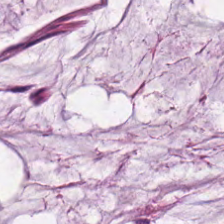Formalin-fixed paraffin-embedded section; H&E stain; 0.5 µm per pixel.
Q: Identify the tissue.
A: It is extracellular mucin.
